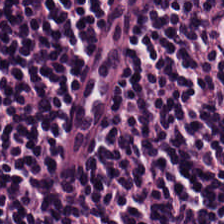H&E · brightfield microscopy · 224×224 px patch.
Impression — lymphocyte aggregate.
